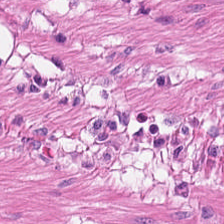H&E-stained tissue section — Predominantly smooth-muscle tissue.
